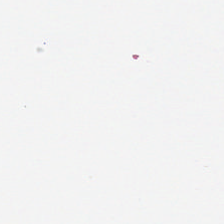Stain: H&E.
Classification: background.
